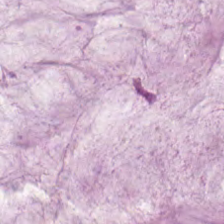H&E.
Predominant tissue = extracellular mucin.
